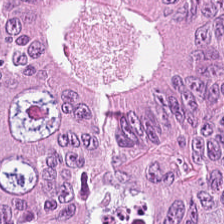Tissue type: colorectal adenocarcinoma.
